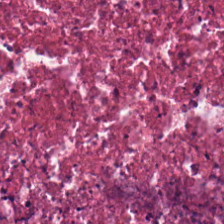H&E-stained tissue section — The predominant tissue is cellular debris.
